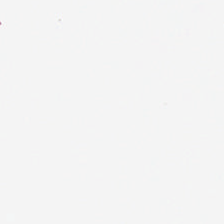Q: Classify this patch.
A: This is background.
